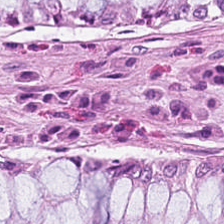H&E-stained tissue section; 224×224 pixel tile — Histology → non-neoplastic colon mucosa.
